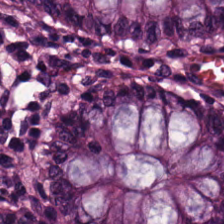Showing non-neoplastic colon mucosa.
